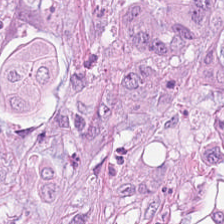H&E stain — Predominantly colorectal adenocarcinoma epithelium.
